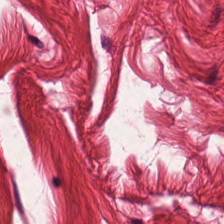H&E stain — Predominantly smooth-muscle tissue.
